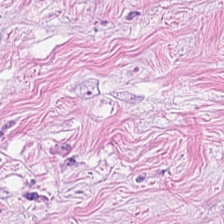H&E. Whole-slide-image patch. 224×224 px tile.
Predominantly desmoplastic stroma.
